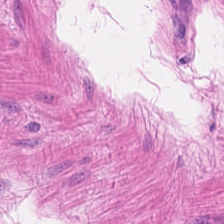Hematoxylin and eosin — Tissue — muscularis.
